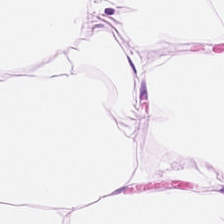H&E-stained tissue section — This field is adipose tissue.
